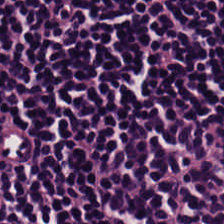20× equivalent magnification; H&E-stained tissue section.
This patch shows lymphocyte aggregate.
